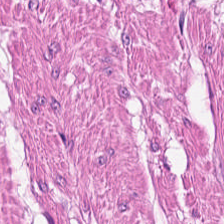Hematoxylin and eosin · whole-slide-image patch · 224×224 pixel tile — This patch shows smooth muscle.
